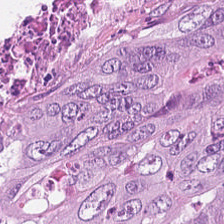H&E-stained tissue section.
Predominant tissue — adenocarcinoma.
